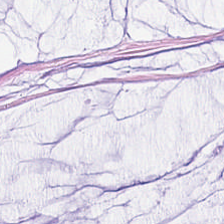H&E-stained tissue section · WSI patch — This patch shows mucus.
